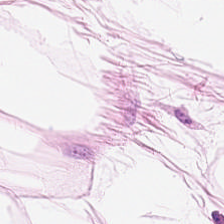Stain: H&E.
Tile size: 224×224 px patch.
Classification: adipocytes.
